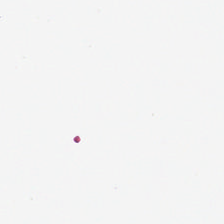Content — background.
